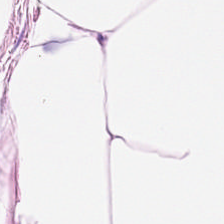H&E stain. 224×224 pixel tile. Q: What tissue is shown?
A: Adipose tissue.
